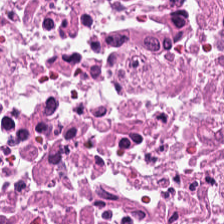The tissue here is necrotic debris.
